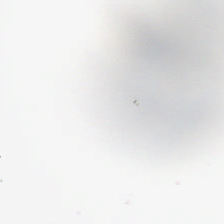Hematoxylin-and-eosin stained section. 0.5 µm per pixel — Field content — background (no tissue).
